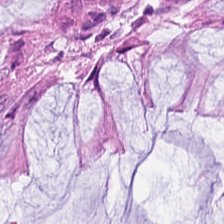Hematoxylin and eosin.
The tissue is normal colon mucosa.
